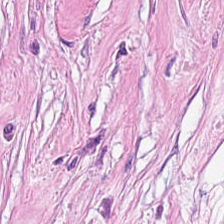20× equivalent magnification · H&E-stained tissue section. Finding → desmoplastic stroma.
